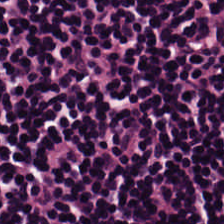Tissue type — lymphocyte aggregate.
